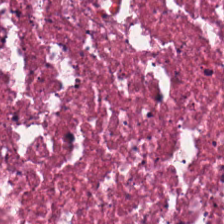H&E.
Showing necrotic debris.
